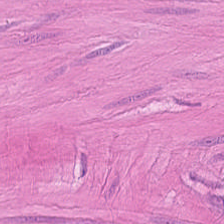FFPE; WSI patch; hematoxylin and eosin. Showing smooth-muscle tissue.
